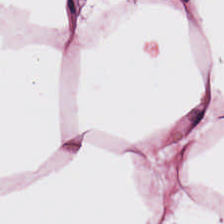FFPE tissue section · H&E — Q: What tissue is shown?
A: It is fat tissue.
